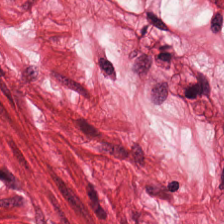0.5 µm/px · hematoxylin-and-eosin stained section — Tissue type: smooth-muscle tissue.
